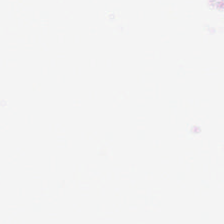H&E-stained tissue section.
Q: What is shown in this field?
A: It is background.
